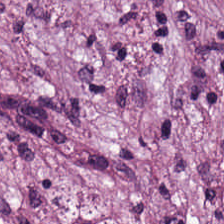Hematoxylin-and-eosin stained section. Tissue = tumor-associated stroma.
